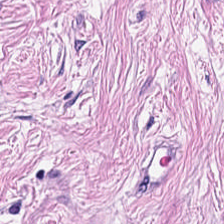Tissue class = tumor-associated stroma.
